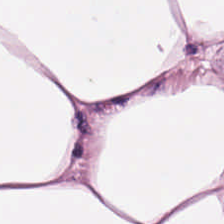Brightfield microscopy · FFPE tissue section · H&E.
Predominantly adipose tissue.
